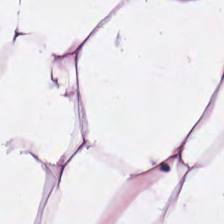20× equivalent magnification · H&E-stained tissue section.
Impression → adipocytes.
